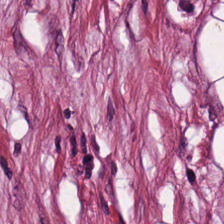Q: What does this patch show?
A: It is tumor stroma.
